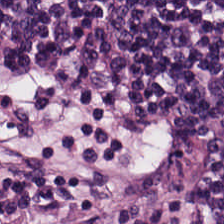H&E-stained tissue section · 0.5 µm per pixel.
Showing lymphoid infiltrate.
